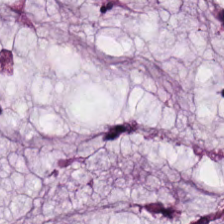Hematoxylin-and-eosin section: mucin.
